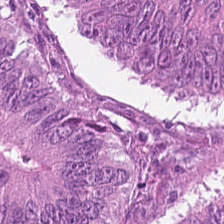H&E stain — {"tissue_type": "malignant epithelium"}
